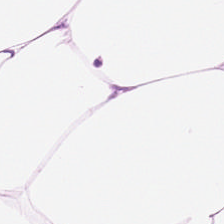H&E stain; 224×224 pixel tile; 0.5 µm/px. Tissue: fat tissue.
